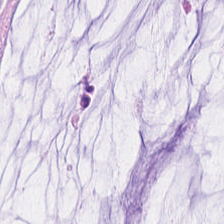Hematoxylin and eosin. Brightfield microscopy — The classification is mucin.
